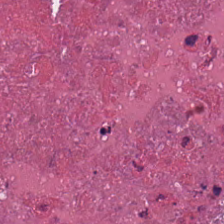Q: What is shown in this field?
A: Necrotic debris.
